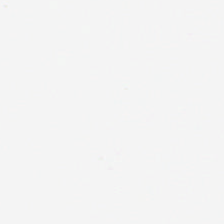Hematoxylin-and-eosin stained section — This field is background (no tissue).
